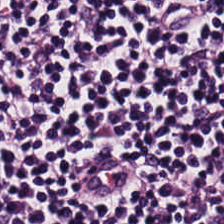Hematoxylin and eosin; brightfield. Histology → lymphocytes.
